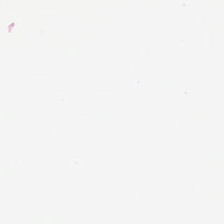H&E-stained tissue section.
Content — background (no tissue).
